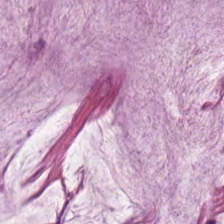Hematoxylin and eosin; brightfield; 0.5 µm/px.
Q: What type of tissue is this?
A: It is mucus.
